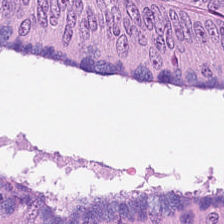H&E.
{"tissue_type": "adenocarcinoma"}
